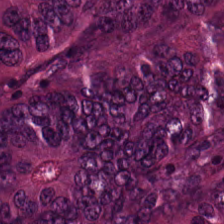H&E. Impression — colorectal adenocarcinoma epithelium.
